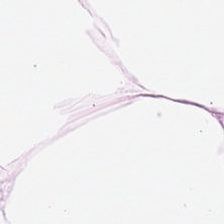Stain: H&E stain.
Predominant tissue: adipocytes.
